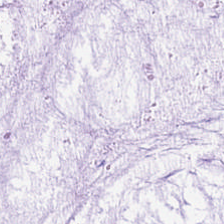H&E stain. FFPE tissue section. WSI patch. The tissue type is mucus.
